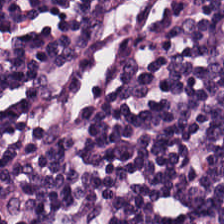Tissue = lymphoid infiltrate.
